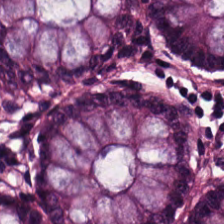H&E; 20× equivalent magnification; 224×224 px tile.
Histology — normal colonic mucosa.
